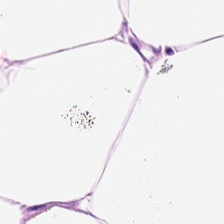H&E — Tissue — adipocytes.
